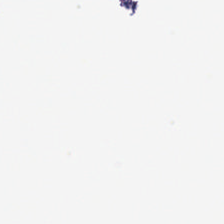H&E — Content: no tissue.
